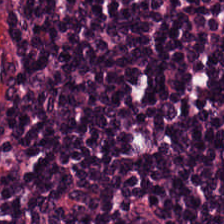H&E — Predominant tissue — lymphocytes.
